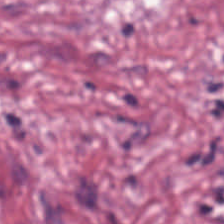H&E — The predominant tissue is tumor-associated stroma.
